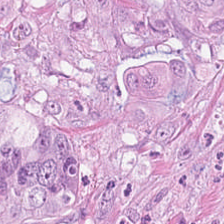Hematoxylin-and-eosin stained section. The tissue is colorectal adenocarcinoma.
